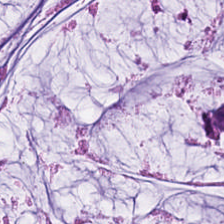Tissue class = extracellular mucin.
